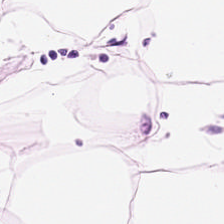This patch shows fat tissue.
